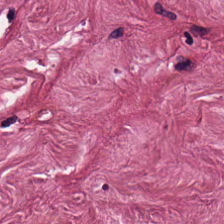Hematoxylin and eosin. Q: What is shown in this field?
A: Tumor-associated stroma.
